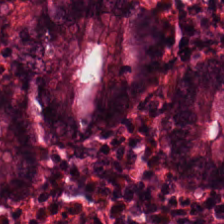H&E · whole-slide-image patch. Q: Identify the tissue.
A: The field shows normal colonic mucosa.
